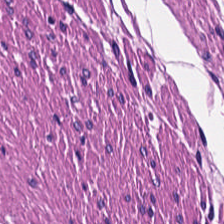224×224 px tile · 0.5 µm per pixel · H&E. Showing muscularis.
